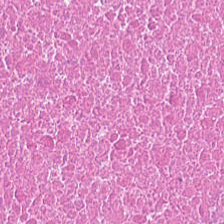H&E-stained tissue section.
Q: Classify this patch.
A: It is necrotic debris.
